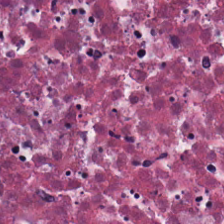H&E.
Histology — necrotic debris.
